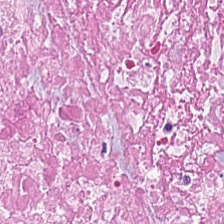H&E-stained tissue section — Tissue class — necrotic debris.
